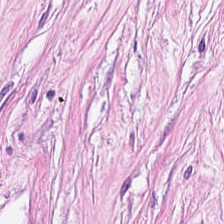Stain: H&E.
Tissue: desmoplastic stroma.
